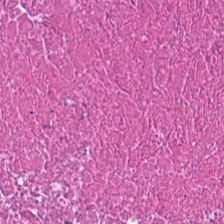H&E. Histology — necrotic debris.
